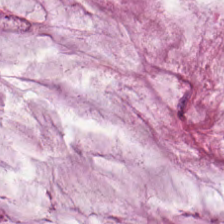H&E-stained tissue section. FFPE.
Finding — mucin.
